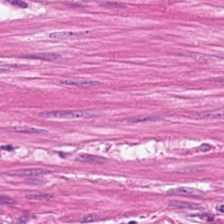Whole-slide-image patch · 224×224 px patch · H&E — Smooth muscle.
